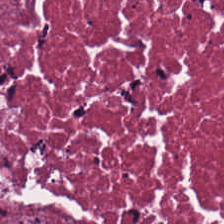This field is debris.
